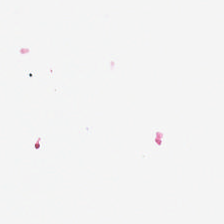224×224 px tile. 0.5 µm/px. H&E — Classification = background.
